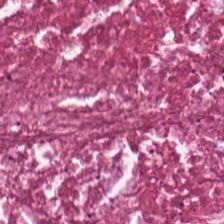Brightfield microscopy; H&E-stained tissue section — Q: What does this patch show?
A: Necrotic debris.
